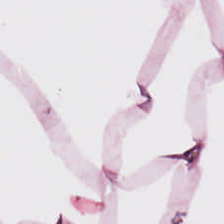20× equivalent magnification; H&E stain.
Tissue class: adipocytes.
